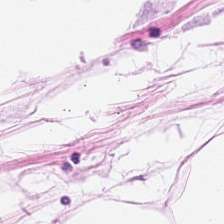H&E. Q: What type of tissue is this?
A: This is adipose tissue.
